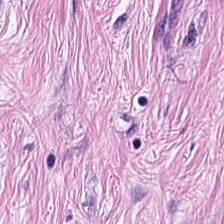H&E-stained tissue section — Classification: tumor-associated stroma.
